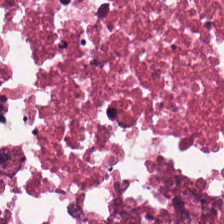Q: What is shown here?
A: The field shows necrotic debris.
